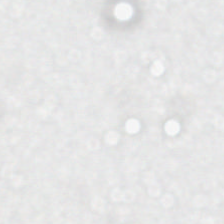H&E stain.
Empty field — background.
